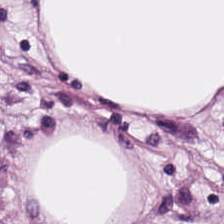Hematoxylin-and-eosin stained section. Tissue class: adipose tissue.
